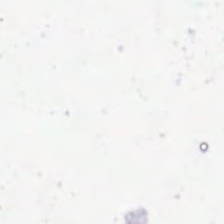Hematoxylin and eosin.
Classification — no tissue.
